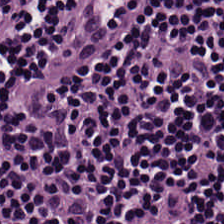224×224 pixel tile. Hematoxylin and eosin. Formalin-fixed paraffin-embedded section. Histology → lymphocyte aggregate.
